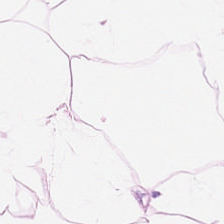H&E. FFPE — Q: What tissue type is shown here?
A: This is adipocytes.
